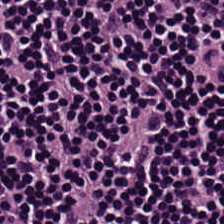WSI patch; H&E stain. This patch shows lymphocytes.
